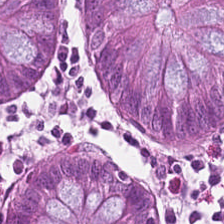H&E stain — Impression — non-neoplastic colon mucosa.
